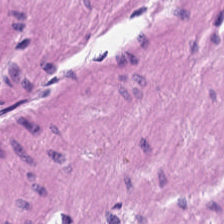H&E; 224×224 pixel tile; WSI patch — The tissue type is muscularis.
